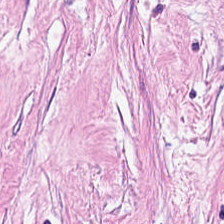Brightfield. H&E-stained tissue section.
Showing cancer-associated stroma.
